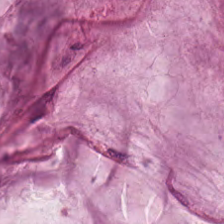Hematoxylin-and-eosin stained section · whole-slide-image patch · formalin-fixed paraffin-embedded section.
The tissue type is extracellular mucin.
